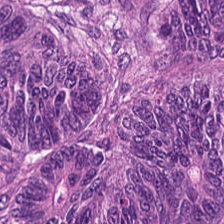Hematoxylin and eosin — Predominant tissue = tumor epithelium.
